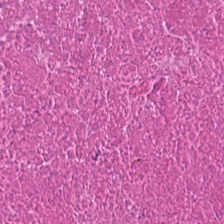Stain: hematoxylin and eosin.
Classification: debris.
